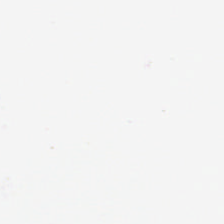H&E-stained tissue section.
Finding → background.
